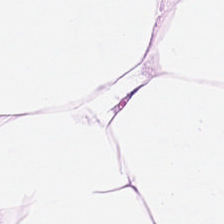Formalin-fixed paraffin-embedded section · hematoxylin-and-eosin stained section · 0.5 microns per pixel.
This patch shows adipose tissue.
